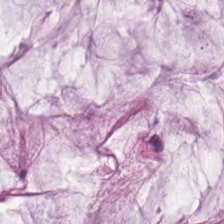H&E. Predominantly extracellular mucin.
